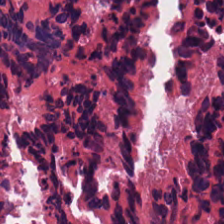FFPE tissue section; 224×224 px tile; hematoxylin and eosin. Q: What is shown here?
A: Cellular debris.
